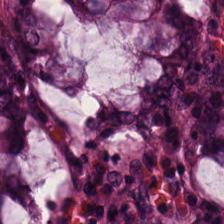Hematoxylin-and-eosin stained section. 224×224 px patch — Tissue — non-neoplastic colon mucosa.
